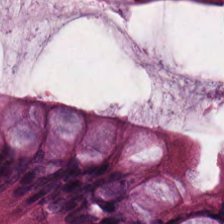H&E stain. The tissue here is benign colonic mucosa.
